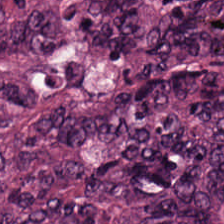H&E.
Histology — adenocarcinoma.
